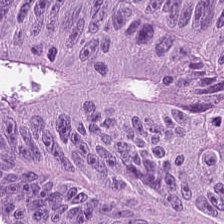Stain: H&E.
Tile size: 224×224 px patch.
Acquisition: whole-slide-image patch.
Tissue type: tumor epithelium.
